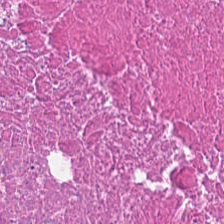224×224 pixel tile; H&E-stained tissue section.
Predominantly cellular debris.
